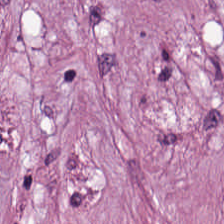Hematoxylin and eosin. 224×224 px tile.
Predominantly cancer-associated stroma.
